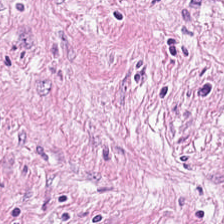224×224 px tile. Hematoxylin-and-eosin stained section. Whole-slide-image patch. The classification is tumor-associated stroma.
